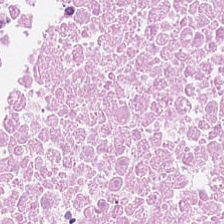Tissue type: necrotic debris.
